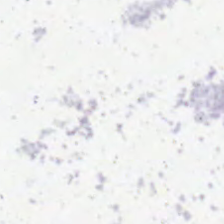H&E. 224×224 px tile. 0.5 µm/px. Histology → background (no tissue).
